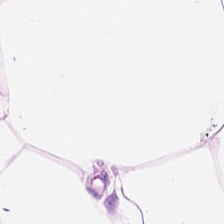H&E. The tissue class is adipose.
